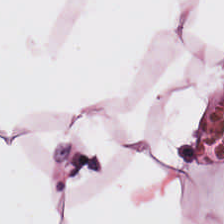Stain: H&E-stained tissue section.
Preparation: formalin-fixed paraffin-embedded section.
Tissue class: adipocytes.
